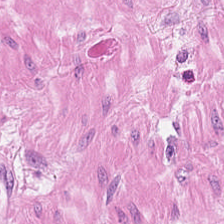H&E stain — Predominant tissue: muscularis.
